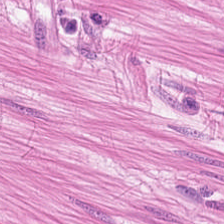Classification — smooth muscle.
